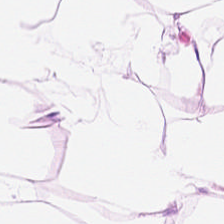Hematoxylin-and-eosin stained section — The tissue here is adipose.
